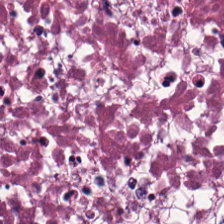WSI patch; hematoxylin-and-eosin stained section — Q: What is shown in this field?
A: The field shows debris.
